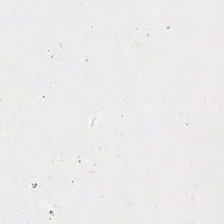Hematoxylin-and-eosin stained section — {"content": "background"}
